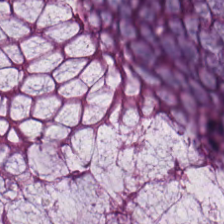224×224 pixel tile · H&E-stained tissue section.
The predominant tissue is normal colonic mucosa.
